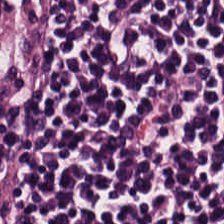Q: Classify this patch.
A: This is lymphoid infiltrate.
